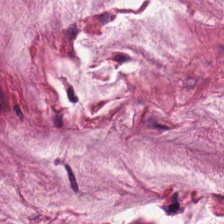The predominant tissue is mucus.
